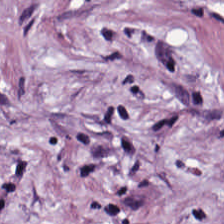Hematoxylin and eosin.
Impression → cancer-associated stroma.
